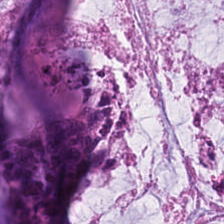Hematoxylin-and-eosin stained section — Mucin.
